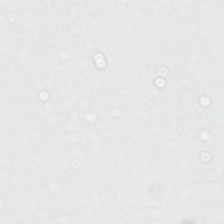Hematoxylin-and-eosin stained section.
Background — no tissue in this field.
